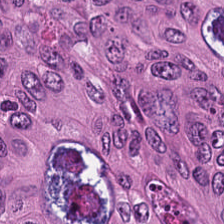Hematoxylin and eosin — The predominant tissue is adenocarcinoma.
